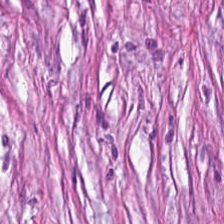FFPE tissue section. 224×224 px patch. Hematoxylin-and-eosin stained section — Classification = cancer-associated stroma.
